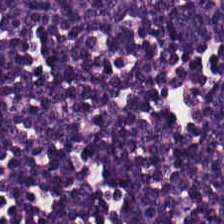Stain: hematoxylin and eosin.
Tissue: lymphocytic infiltrate.
